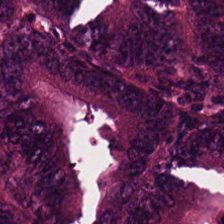H&E-stained tissue section. Colorectal adenocarcinoma.
